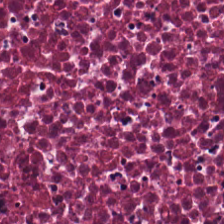0.5 µm/px; H&E stain; FFPE.
Predominantly debris.
